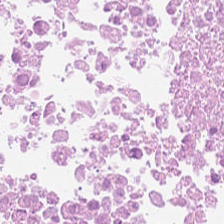H&E-stained section; the field shows necrotic debris.
